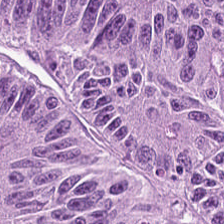Hematoxylin-and-eosin stained section. Formalin-fixed paraffin-embedded section.
The predominant tissue is colorectal adenocarcinoma.
